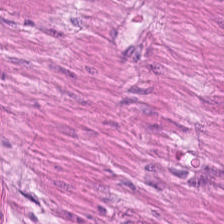H&E. Smooth-muscle tissue.
